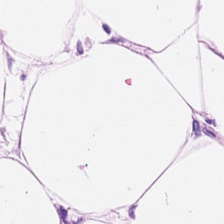Stain: H&E stain.
Resolution: 0.5 µm/px.
Tile size: 224×224 px tile.
Predominant tissue: adipose.
